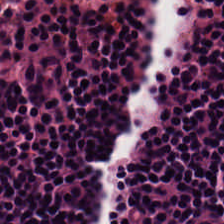H&E-stained tissue section.
{"tissue_type": "lymphoid infiltrate"}
